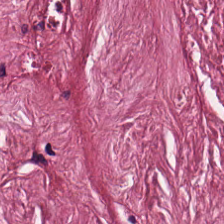Stain: H&E-stained tissue section.
Preparation: FFPE.
Tissue class: cancer-associated stroma.
